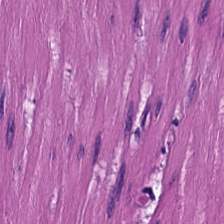Hematoxylin-and-eosin stained section. This field is muscularis.
